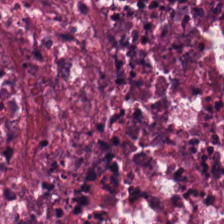Brightfield; H&E. Q: What is shown here?
A: The field shows necrotic debris.
